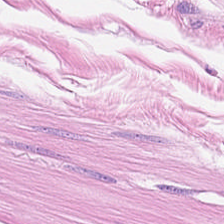FFPE tissue section; H&E stain — The classification is smooth-muscle tissue.
